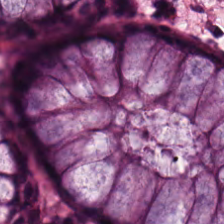Hematoxylin-and-eosin stained section. Q: What is shown here?
A: This is normal colonic mucosa.
